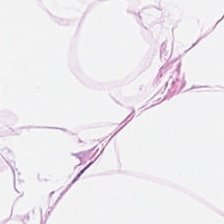{"tissue_type": "adipose tissue"}
